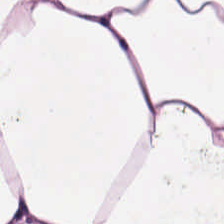H&E.
{"tissue_type": "fat tissue"}
